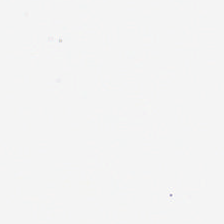Hematoxylin-and-eosin stained section; whole-slide-image patch; FFPE — Classification = background (no tissue).
